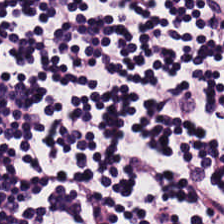H&E-stained tissue section.
Predominant tissue: lymphoid infiltrate.
